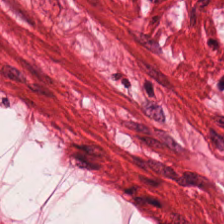H&E-stained section; the field shows smooth muscle.
